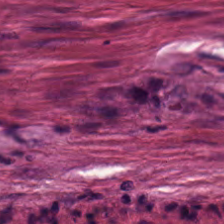Hematoxylin and eosin — The predominant tissue is desmoplastic stroma.
